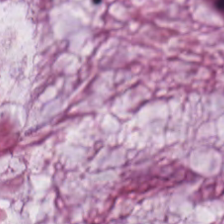Hematoxylin-and-eosin stained section — The tissue is mucin.
